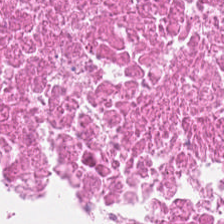Predominant tissue — cellular debris.
